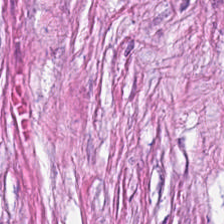Hematoxylin-and-eosin stained section — The predominant tissue is desmoplastic stroma.
